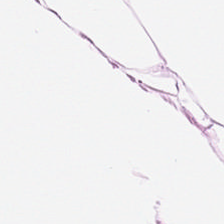H&E-stained tissue section — Tissue type — fat tissue.
